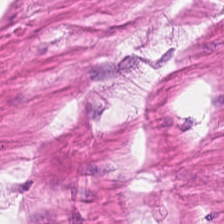H&E stain. Impression → muscularis.
